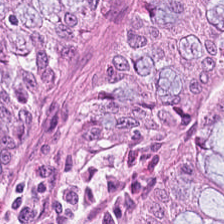Hematoxylin-and-eosin stained section. FFPE tissue section. The tissue is normal colonic mucosa.
